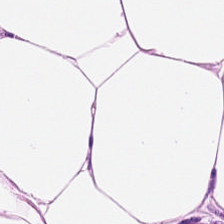FFPE. Hematoxylin-and-eosin stained section. 224×224 px patch.
This patch shows adipose.
